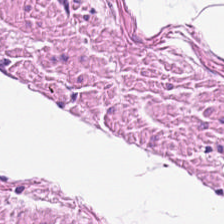H&E.
Q: What tissue type is shown here?
A: Muscularis.
